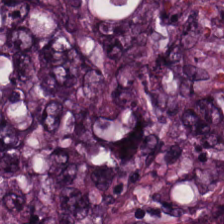FFPE tissue section; H&E stain.
Tumor epithelium.
